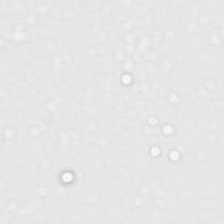Stain: H&E.
Field content: no tissue.
